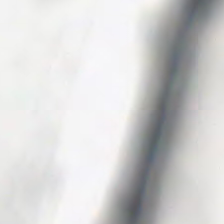Classification = background (no tissue).
